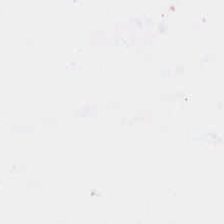Impression — no tissue.
